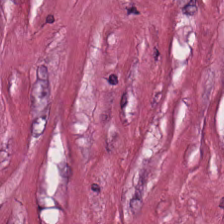H&E-stained section; the field shows tumor-associated stroma.
